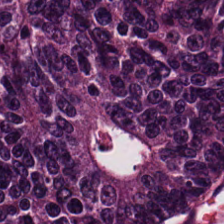Q: What is the predominant tissue type?
A: This is adenocarcinoma.
